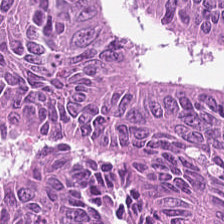Stain: hematoxylin-and-eosin stained section.
Tissue class: tumor epithelium.
